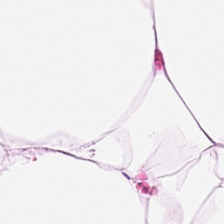H&E-stained tissue section — Tissue type — fat tissue.
